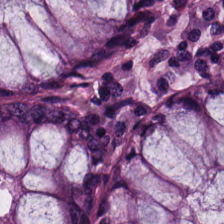Brightfield microscopy. H&E-stained tissue section. This patch shows non-neoplastic colon mucosa.
